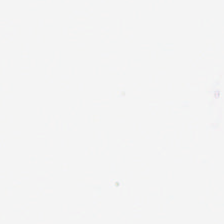Stain: hematoxylin and eosin.
Classification: background (no tissue).
